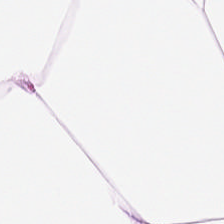Formalin-fixed paraffin-embedded section; H&E-stained tissue section — Q: What is shown in this field?
A: The field shows adipose tissue.
